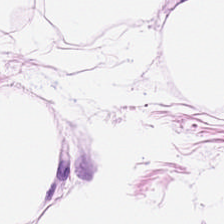The predominant tissue is adipose.
